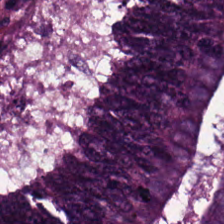H&E-stained tissue section. Predominantly tumor epithelium.
